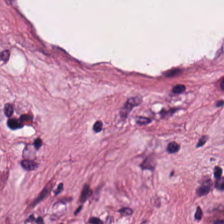Tissue type: tumor-associated stroma.
